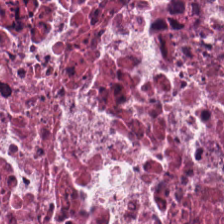This patch shows necrotic debris.
